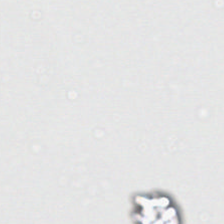H&E-stained tissue section.
Q: What does this patch show?
A: It is background (no tissue).
